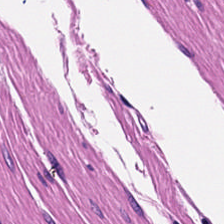Hematoxylin and eosin.
This field is smooth muscle.
